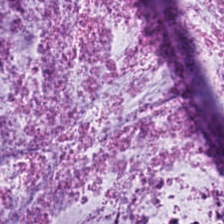The tissue is extracellular mucin.
